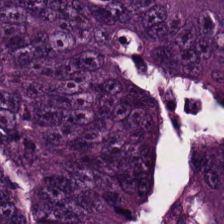H&E — adenocarcinoma.
